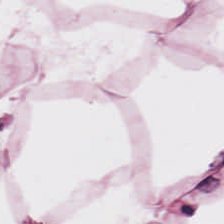Hematoxylin and eosin. Tissue class — adipose.
